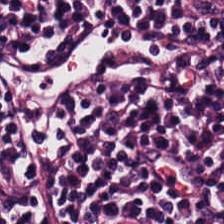The predominant tissue is lymphocytes.
